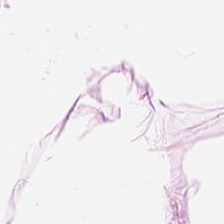H&E stain. {"tissue_type": "adipocytes"}
